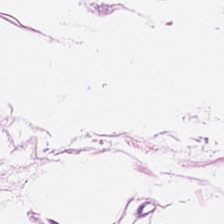H&E stain; FFPE tissue section.
Q: What does this patch show?
A: It is adipose.
